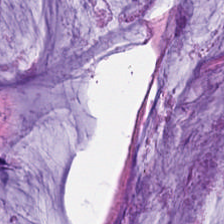Q: What is the predominant tissue type?
A: The field shows mucus.
